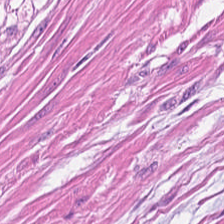Q: What tissue is shown?
A: It is smooth muscle.
